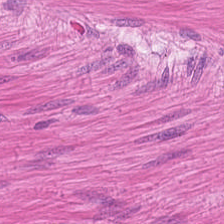Hematoxylin-and-eosin stained section — Predominantly muscularis.
